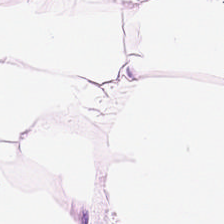H&E-stained tissue section — The tissue type is adipose.
